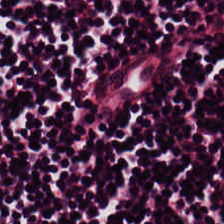FFPE. H&E-stained tissue section — Q: Classify this patch.
A: Lymphocytes.
